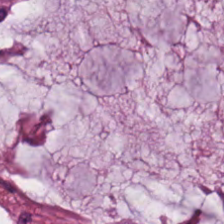Stain: hematoxylin-and-eosin stained section.
Tissue class: extracellular mucin.
